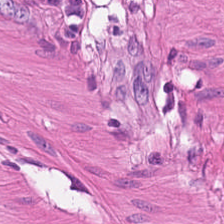H&E-stained tissue section — The tissue class is smooth-muscle tissue.
